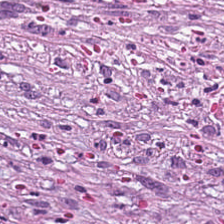H&E-stained tissue section showing cancer-associated stroma.
